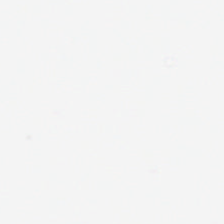Hematoxylin-and-eosin stained section. Background — no tissue in this field.
